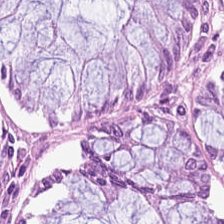Hematoxylin and eosin; whole-slide-image patch. The predominant tissue is normal colonic mucosa.
